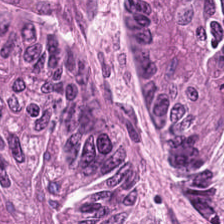Hematoxylin and eosin; 0.5 µm per pixel — Classification = tumor epithelium.
